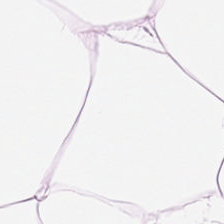H&E stain — Adipocytes.
